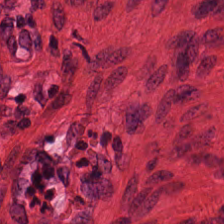H&E; brightfield microscopy.
Q: Identify the tissue.
A: It is smooth-muscle tissue.
